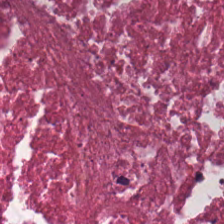The classification is cellular debris.
